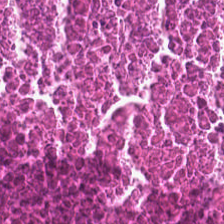Predominant tissue = debris.
